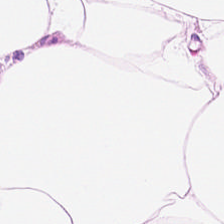Finding — adipose tissue.
